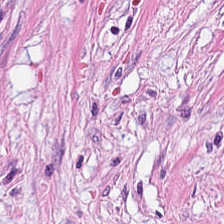The tissue type is tumor stroma.
